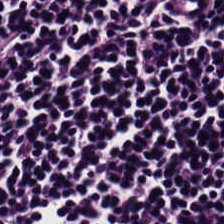20× equivalent magnification. Hematoxylin-and-eosin stained section — This patch shows lymphocyte aggregate.
